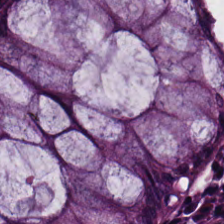H&E.
{"tissue_type": "normal colon mucosa"}
